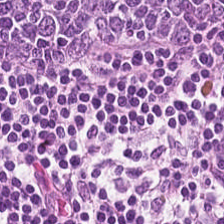H&E stain.
Showing lymphoid infiltrate.
